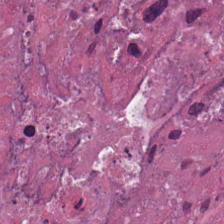H&E stain — Showing cellular debris.
